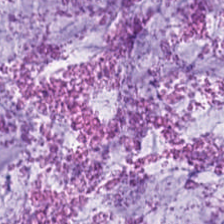Tissue type = mucin.
